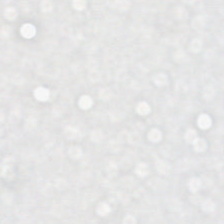H&E stain · 0.5 µm/px · 224×224 pixel tile.
This field is background (no tissue).
